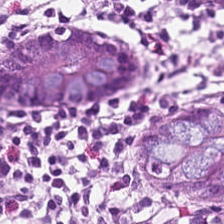0.5 µm/px; 224×224 px tile; H&E-stained tissue section. Q: What is shown here?
A: This is normal colonic mucosa.
